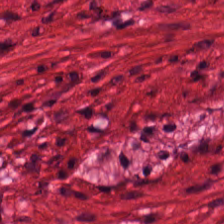H&E stain. Whole-slide-image patch. FFPE.
Q: What tissue is shown?
A: This is smooth muscle.
